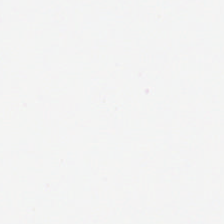The content is empty background.
